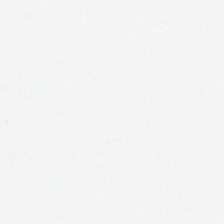Brightfield microscopy. 20× equivalent magnification. Hematoxylin and eosin.
Impression — empty background.
